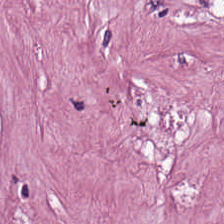H&E stain. Formalin-fixed paraffin-embedded section.
{"tissue_type": "tumor-associated stroma"}
